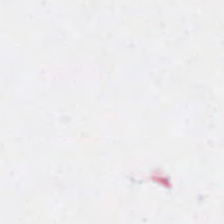H&E stain · FFPE · 224×224 px patch — Background — no tissue in this field.
